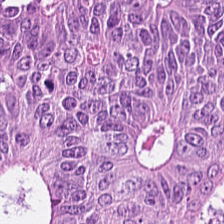H&E-stained tissue section.
Impression → tumor epithelium.
